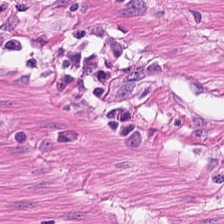Hematoxylin-and-eosin stained section.
The predominant tissue is smooth-muscle tissue.
